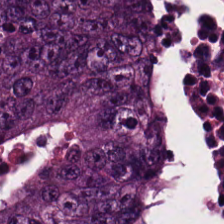Stain: H&E stain.
Resolution: 0.5 µm per pixel.
Tile size: 224×224 pixel tile.
Tissue: colorectal adenocarcinoma.
